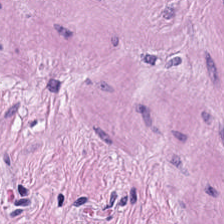Brightfield. 20× equivalent magnification. H&E stain.
The predominant tissue is smooth muscle.
